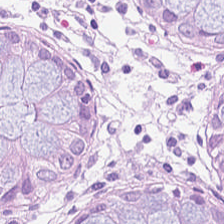Hematoxylin and eosin — Non-neoplastic colon mucosa.
